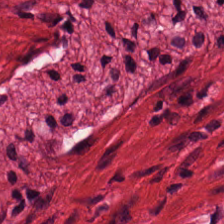Predominantly smooth-muscle tissue.
